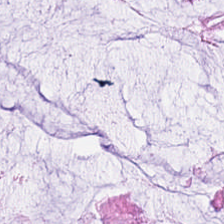0.5 µm/px. 224×224 px tile. H&E stain.
Showing benign colonic mucosa.
